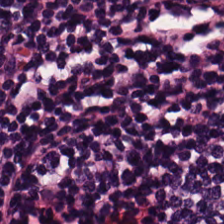H&E. The tissue here is lymphocyte aggregate.
